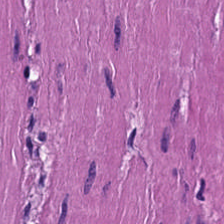H&E stain — Predominant tissue: smooth muscle.
